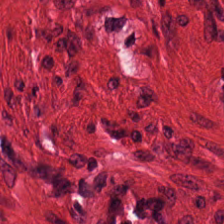H&E — Q: What tissue is shown?
A: It is muscularis.
